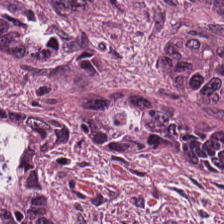Hematoxylin and eosin.
Finding — colorectal adenocarcinoma.
